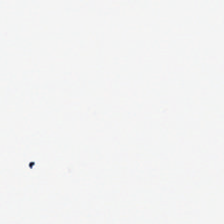0.5 µm per pixel. 224×224 pixel tile. H&E stain.
No tissue present; background only.
